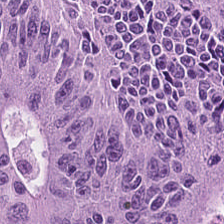H&E-stained tissue section. 224×224 px tile.
The tissue is colorectal adenocarcinoma epithelium.
